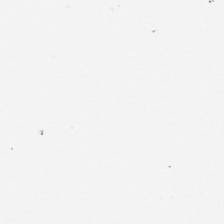Hematoxylin-and-eosin stained section — Finding — background.
